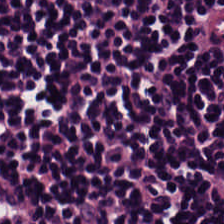Hematoxylin-and-eosin stained section.
Q: Identify the tissue.
A: Lymphocyte aggregate.
